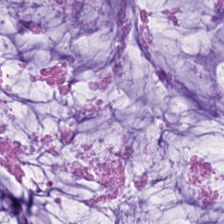H&E stain · 0.5 µm per pixel.
{"tissue_type": "mucin"}
